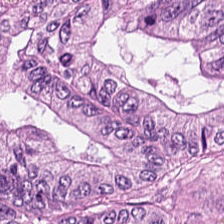Hematoxylin-and-eosin section: adenocarcinoma.
